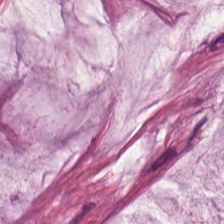H&E-stained tissue section — Predominantly mucin.
